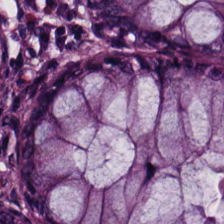H&E — Predominantly non-neoplastic colon mucosa.
